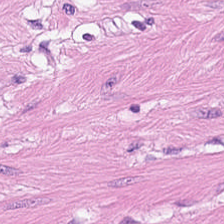H&E stain. This patch shows smooth muscle.
